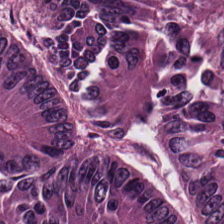Classification — colorectal adenocarcinoma.
